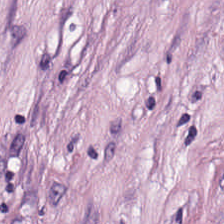H&E-stained tissue section · brightfield microscopy.
Predominantly tumor stroma.
